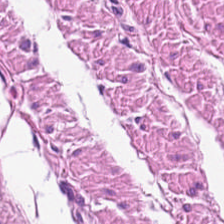H&E. Q: What tissue type is shown here?
A: The field shows smooth-muscle tissue.
